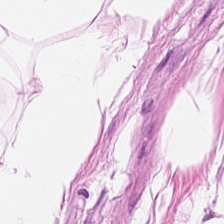Q: Classify this patch.
A: It is fat tissue.
